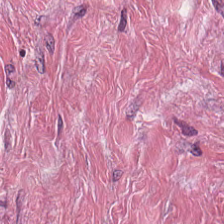H&E.
Q: What is shown here?
A: The field shows tumor stroma.
